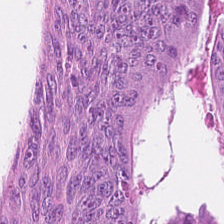H&E. Formalin-fixed paraffin-embedded section — Adenocarcinoma.
